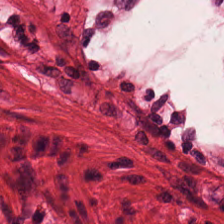H&E stain.
Q: What tissue is shown?
A: It is smooth muscle.
